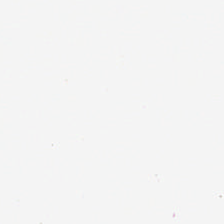The classification is no tissue.
